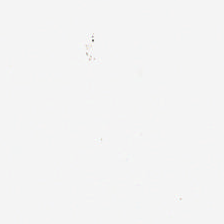Brightfield. H&E stain.
Empty field — background.
